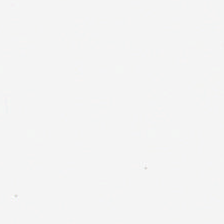H&E. Brightfield microscopy. Classification — no tissue.
